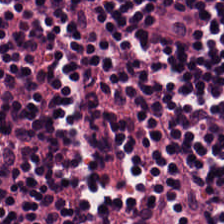Formalin-fixed paraffin-embedded section · H&E.
Predominant tissue: lymphoid infiltrate.
